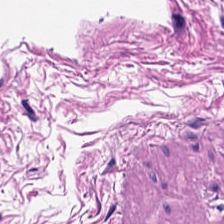H&E-stained tissue section.
Finding → muscularis.
